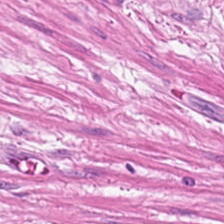224×224 px patch. FFPE tissue section. H&E stain.
Tissue class = smooth-muscle tissue.
